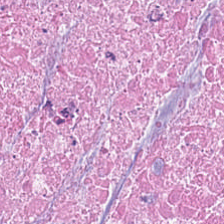Stain: hematoxylin and eosin.
Tile size: 224×224 px tile.
Tissue class: cellular debris.
